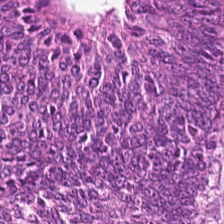Hematoxylin and eosin — Q: What is shown in this field?
A: Colorectal adenocarcinoma epithelium.
